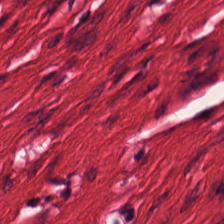Stain: hematoxylin-and-eosin stained section.
Resolution: 0.5 µm per pixel.
Tissue class: smooth-muscle tissue.
